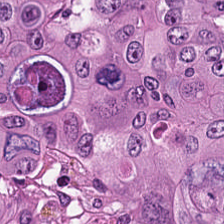The tissue type is colorectal adenocarcinoma.
